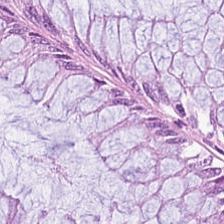The predominant tissue is benign colonic mucosa.
